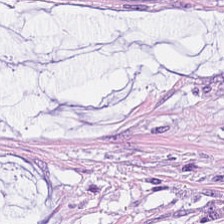Stain: H&E stain.
Predominant tissue: mucin.
